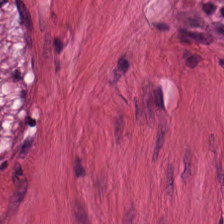Impression → smooth muscle.
